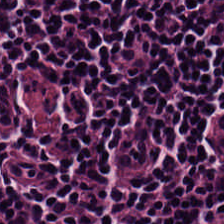H&E stain. The tissue here is lymphoid infiltrate.
